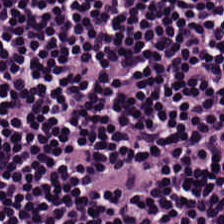Whole-slide-image patch. H&E.
Histology → lymphoid infiltrate.
